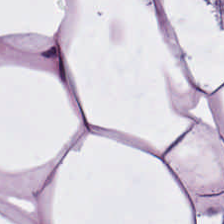Stain: H&E.
Preparation: formalin-fixed paraffin-embedded section.
Tissue class: adipose tissue.
